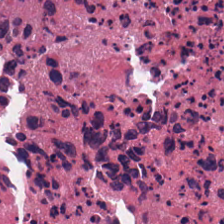Whole-slide-image patch · hematoxylin-and-eosin stained section. Predominantly debris.
